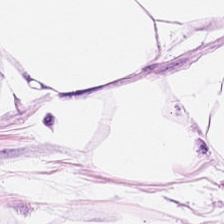H&E. Predominantly fat tissue.
